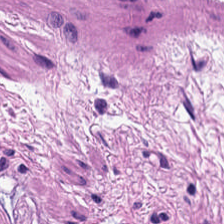H&E stain; 0.5 µm/px. Predominantly smooth muscle.
